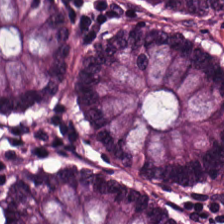Hematoxylin and eosin · brightfield — The predominant tissue is normal colon mucosa.
